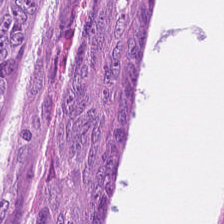Impression → colorectal adenocarcinoma epithelium.
